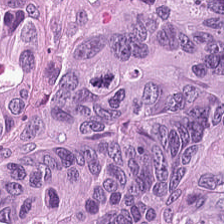H&E; 0.5 µm/px; WSI patch — The predominant tissue is adenocarcinoma.
